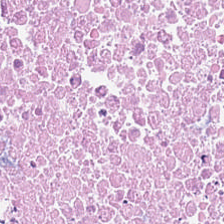H&E stain.
The predominant tissue is necrotic debris.
